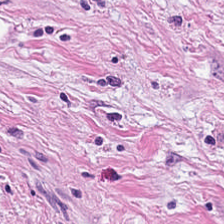Hematoxylin-and-eosin stained section — Finding — cancer-associated stroma.
